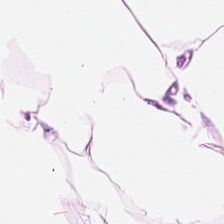Hematoxylin and eosin. Q: What does this patch show?
A: Adipose.
